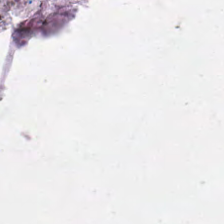H&E.
Q: Classify this patch.
A: The field shows background.
